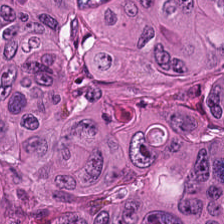H&E-stained tissue section.
Q: What is shown in this field?
A: The field shows colorectal adenocarcinoma epithelium.
